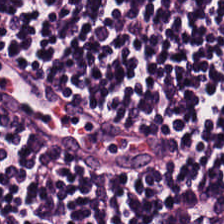H&E-stained section; the field shows lymphoid infiltrate.
